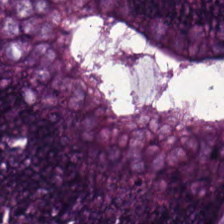0.5 µm per pixel. H&E-stained tissue section.
Q: What is shown in this field?
A: It is adenocarcinoma.
